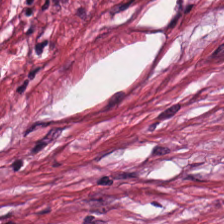Hematoxylin and eosin; 224×224 pixel tile; FFPE.
Q: Classify this patch.
A: Tumor-associated stroma.
